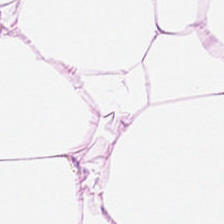{"tissue_type": "adipose tissue"}
